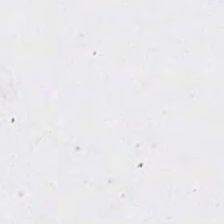H&E stain; formalin-fixed paraffin-embedded section; 224×224 px patch — Q: Classify this patch.
A: This is empty background.
